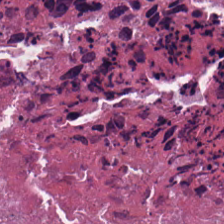Showing cellular debris.
